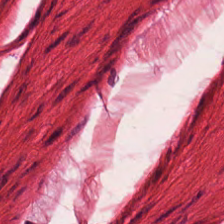Hematoxylin and eosin. This field is smooth muscle.
